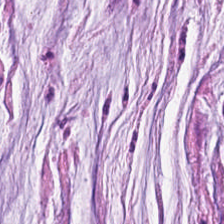H&E-stained tissue section. 0.5 µm per pixel — Finding — extracellular mucin.
